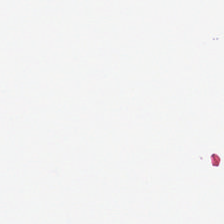Empty field — background.
